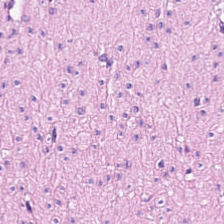Predominantly smooth-muscle tissue.
